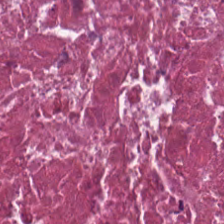Predominant tissue = debris.
